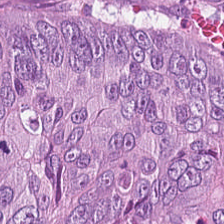Stain: hematoxylin and eosin.
Classification: adenocarcinoma.
